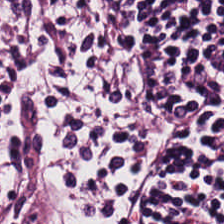H&E-stained tissue section. This patch shows lymphocytes.
